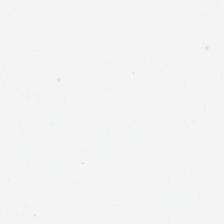224×224 px tile. H&E.
{"content": "background (no tissue)"}
